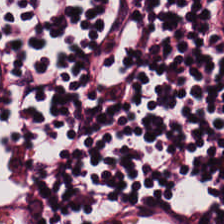FFPE. H&E.
The tissue type is lymphocytic infiltrate.
